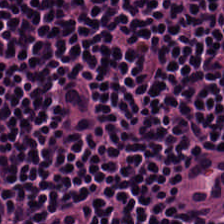The predominant tissue is lymphocyte aggregate.
